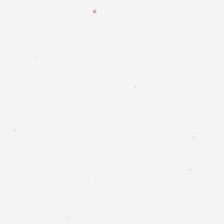Stain: H&E.
Preparation: formalin-fixed paraffin-embedded section.
Content: background.
